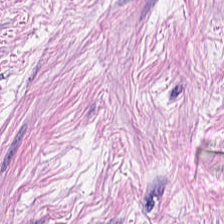Stain: hematoxylin-and-eosin stained section.
Tissue class: desmoplastic stroma.
